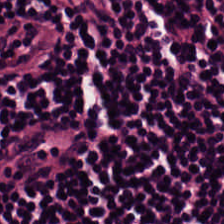H&E. 20× equivalent magnification. This field is lymphocyte aggregate.
